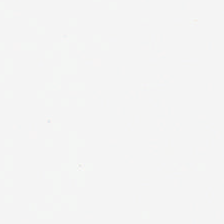Q: What is shown in this field?
A: Empty background.
